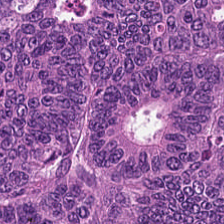Hematoxylin and eosin — {"tissue_type": "tumor epithelium"}
